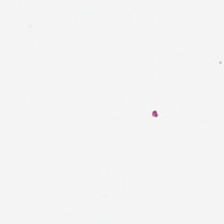Hematoxylin and eosin. Brightfield microscopy — Field content: background.
